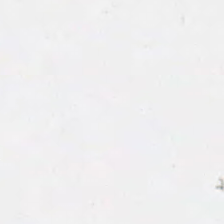H&E. The classification is background.
